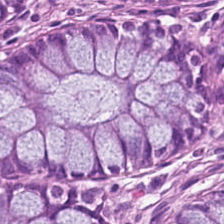H&E-stained tissue section — Predominant tissue — normal colon mucosa.
